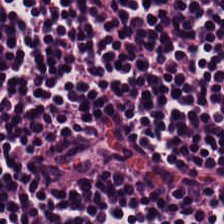H&E-stained tissue section.
Predominantly lymphoid infiltrate.
